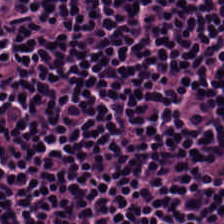Q: What tissue is shown?
A: It is lymphocytes.
